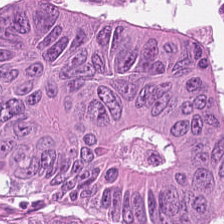Adenocarcinoma.
